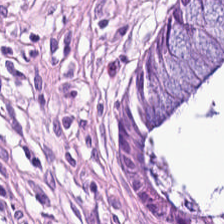Hematoxylin-and-eosin stained section; 0.5 µm/px. Showing normal colonic mucosa.
